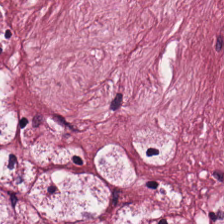WSI patch; H&E stain; 224×224 px patch. Tissue type — tumor stroma.
